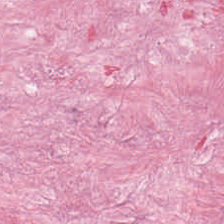H&E stain · 224×224 px tile. Tissue = desmoplastic stroma.
